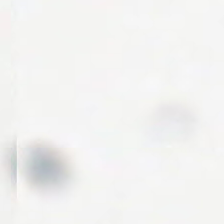H&E stain — This field is background (no tissue).
